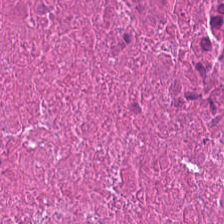Hematoxylin-and-eosin section: debris.
